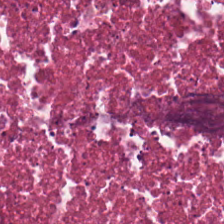Q: What is shown here?
A: This is cellular debris.
